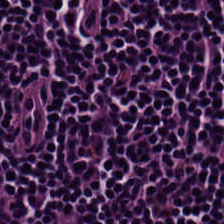H&E-stained tissue section. Q: What tissue type is shown here?
A: It is lymphocyte aggregate.
